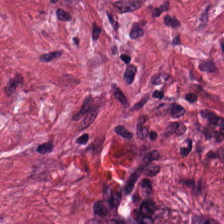0.5 µm/px · H&E-stained tissue section.
Classification — cancer-associated stroma.
